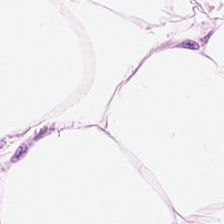Brightfield microscopy · 0.5 µm per pixel · H&E stain. Predominantly adipose tissue.
